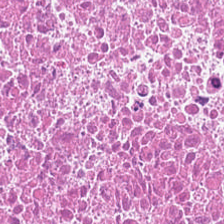Formalin-fixed paraffin-embedded section; hematoxylin-and-eosin stained section. Predominantly debris.
